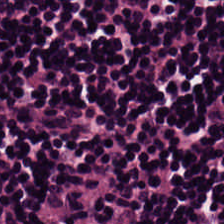H&E stain; 20× equivalent magnification.
Predominantly lymphocyte aggregate.
